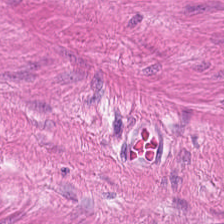Predominant tissue — smooth-muscle tissue.
